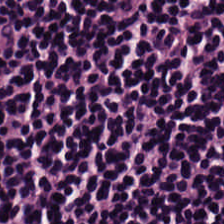H&E-stained tissue section — Predominant tissue — lymphocyte aggregate.
